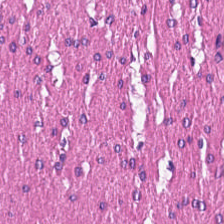WSI patch; 224×224 pixel tile; hematoxylin and eosin — {"tissue_type": "muscularis"}
